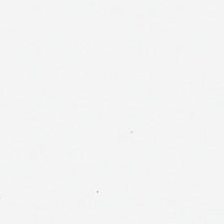H&E stain — The field content is background.
